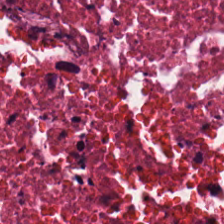H&E. Necrotic debris.
